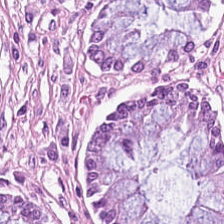Histology — non-neoplastic colon mucosa.
